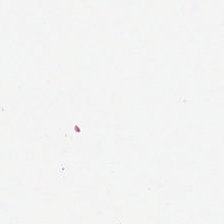H&E-stained tissue section.
Content = background (no tissue).
